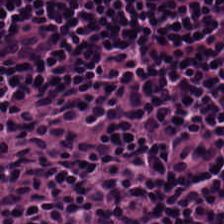Brightfield · hematoxylin and eosin.
Q: Classify this patch.
A: The field shows lymphocytes.
